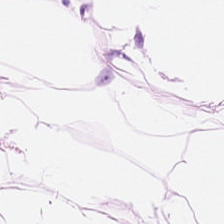H&E-stained tissue section; 20× equivalent magnification. Finding — adipose tissue.
